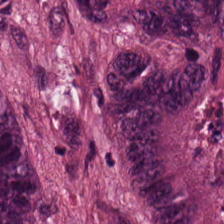H&E-stained tissue section showing colorectal adenocarcinoma.
